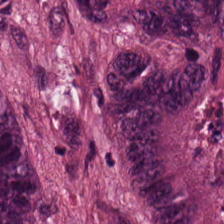H&E-stained tissue section showing colorectal adenocarcinoma.
